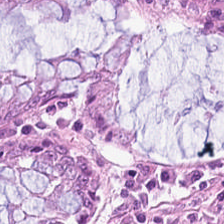224×224 px tile. H&E stain. The tissue here is benign colonic mucosa.
